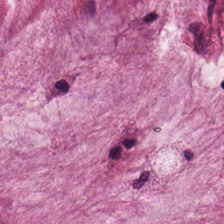Stain: H&E stain.
Preparation: FFPE.
Tissue type: mucus.
